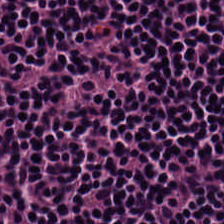FFPE. Hematoxylin and eosin.
The predominant tissue is lymphocytic infiltrate.
